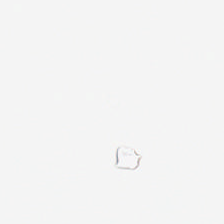Background (no tissue).
